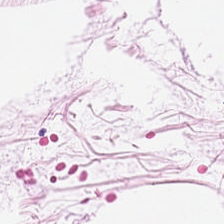224×224 px patch · hematoxylin-and-eosin stained section — This patch shows adipose tissue.
